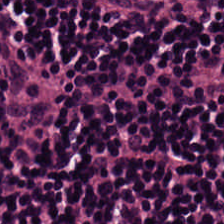Hematoxylin and eosin. The classification is lymphocytic infiltrate.
